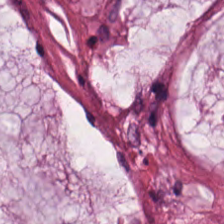H&E. Predominant tissue = mucin.
